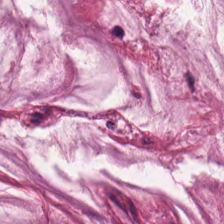Stain: H&E.
Tissue class: mucus.
